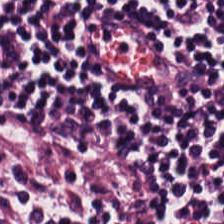H&E-stained tissue section; 0.5 µm/px — Tissue class = lymphocytic infiltrate.
